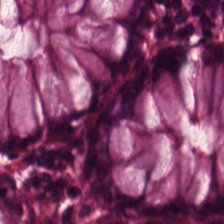{"tissue_type": "benign colonic mucosa"}
